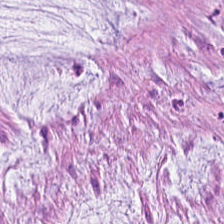H&E — mucin.
